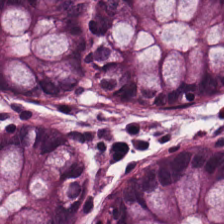FFPE tissue section. 224×224 px tile. H&E stain — Impression → normal colonic mucosa.
